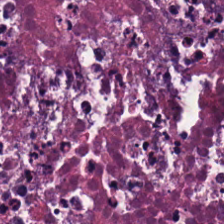0.5 microns per pixel · hematoxylin-and-eosin stained section · 224×224 px patch. This patch shows necrotic debris.
